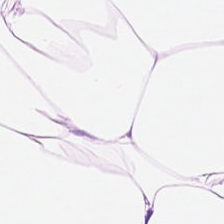Stain: H&E stain.
Tissue: adipose.
